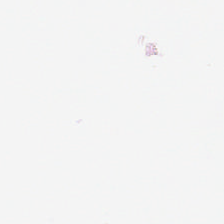Q: What is shown in this field?
A: This is background (no tissue).
